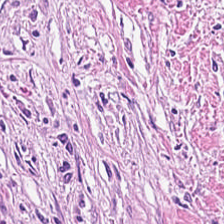H&E stain. The tissue here is desmoplastic stroma.
